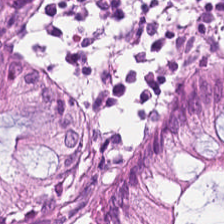H&E. WSI patch. FFPE tissue section. Showing non-neoplastic colon mucosa.
